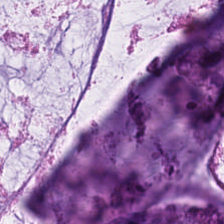Brightfield microscopy. H&E stain. FFPE — Q: What tissue type is shown here?
A: The field shows mucin.
